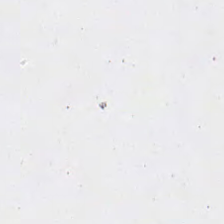Hematoxylin-and-eosin stained section — This field is background (no tissue).
